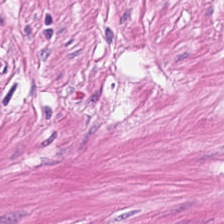Hematoxylin-and-eosin stained section.
Tissue class: muscularis.
